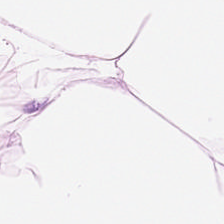H&E stain.
Q: What is shown in this field?
A: The field shows adipose.
